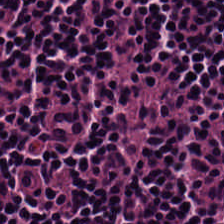224×224 px patch. H&E-stained tissue section. {"tissue_type": "lymphoid infiltrate"}
